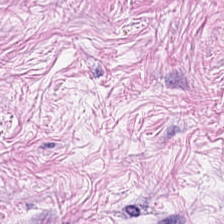H&E-stained tissue section — Q: What tissue type is shown here?
A: The field shows desmoplastic stroma.
